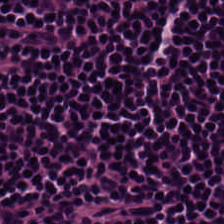Hematoxylin-and-eosin stained section — This field is lymphocytic infiltrate.
